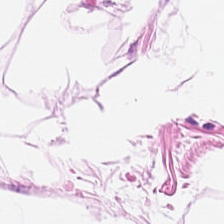Stain: H&E.
Tile size: 224×224 px tile.
Acquisition: whole-slide-image patch.
Tissue: fat tissue.
